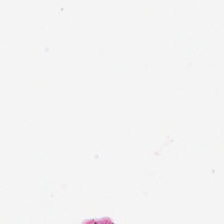FFPE tissue section · hematoxylin-and-eosin stained section.
Classification = no tissue.
